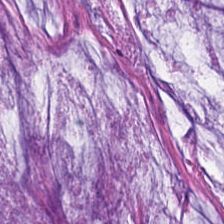Hematoxylin-and-eosin stained section. The tissue class is extracellular mucin.
